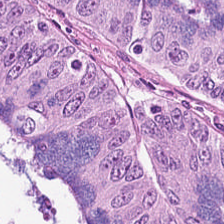H&E-stained tissue section showing tumor epithelium.
